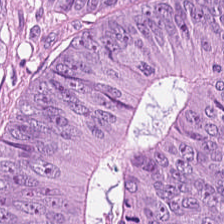0.5 µm per pixel; H&E-stained tissue section — Q: What tissue is shown?
A: It is colorectal adenocarcinoma.
